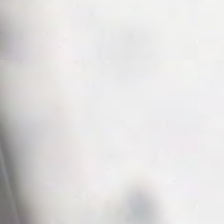Classification: no tissue.
